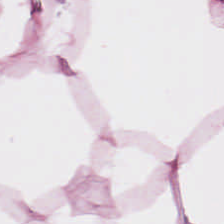H&E. 0.5 µm per pixel.
Finding — adipose tissue.
